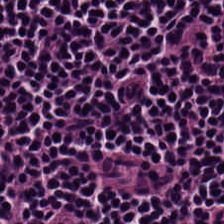Finding → lymphocyte aggregate.
